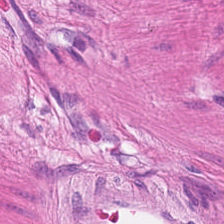H&E — {"tissue_type": "smooth-muscle tissue"}
